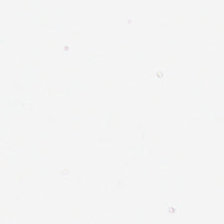Classification: no tissue.
